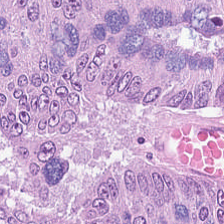Hematoxylin-and-eosin stained section.
Impression → adenocarcinoma.
